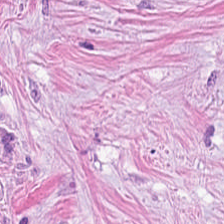Q: What is shown in this field?
A: It is desmoplastic stroma.
